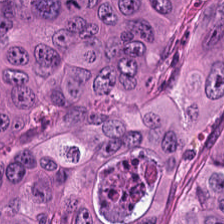Q: Identify the tissue.
A: Malignant epithelium.
